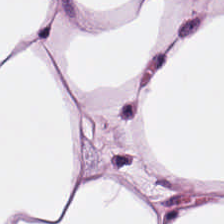Q: What type of tissue is this?
A: This is adipose tissue.
